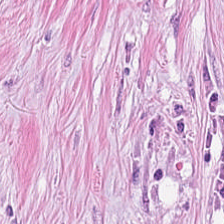Tissue type — tumor-associated stroma.
